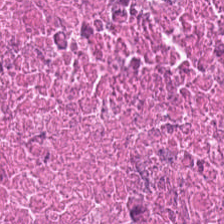H&E — Q: What tissue type is shown here?
A: The field shows necrotic debris.
